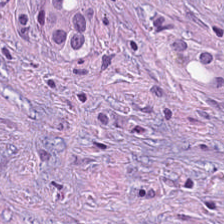H&E stain · 0.5 µm/px · FFPE.
The tissue here is tumor stroma.
